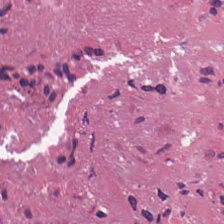Predominant tissue: necrotic debris.
